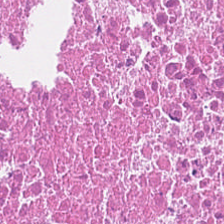224×224 pixel tile; H&E-stained tissue section — Tissue class: debris.
